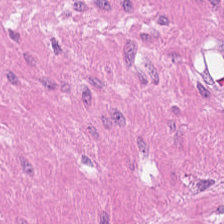Hematoxylin and eosin — Tissue = smooth-muscle tissue.
